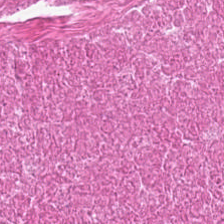H&E stain; 0.5 µm/px. Showing cellular debris.
